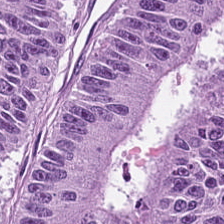Q: Identify the tissue.
A: It is malignant epithelium.
